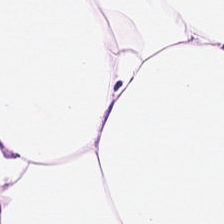224×224 px tile; H&E — Predominant tissue = adipose.
